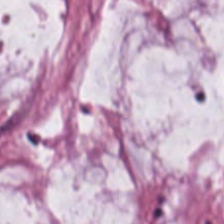H&E stain — Tissue type — mucus.
